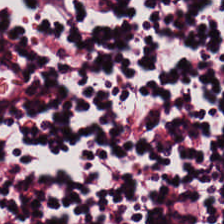This patch shows lymphocytes.
